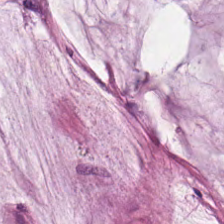H&E — extracellular mucin.
